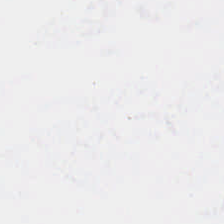Hematoxylin-and-eosin stained section. This field is background (no tissue).
